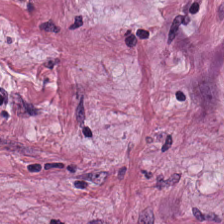H&E. This field is cancer-associated stroma.
